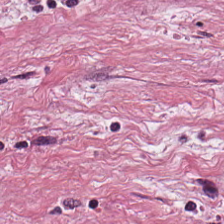H&E-stained tissue section.
Tissue — tumor stroma.
